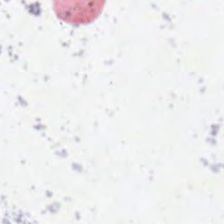Whole-slide-image patch. Hematoxylin-and-eosin stained section. 0.5 µm per pixel.
No tissue present; background only.
